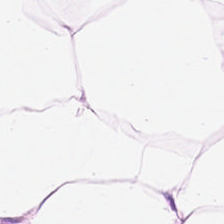Impression → adipose.
